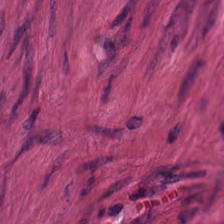H&E.
Classification = smooth muscle.
